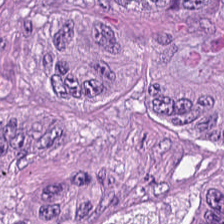H&E-stained tissue section.
This field is tumor epithelium.
